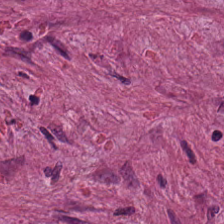H&E; 224×224 pixel tile.
Impression → tumor stroma.
